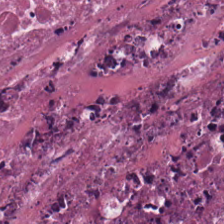Hematoxylin and eosin · WSI patch.
The tissue type is debris.
